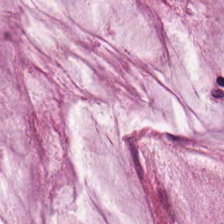Hematoxylin-and-eosin stained section · 0.5 microns per pixel. Predominant tissue = mucus.
